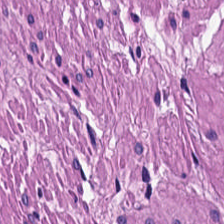Hematoxylin and eosin.
Q: What does this patch show?
A: Smooth muscle.
